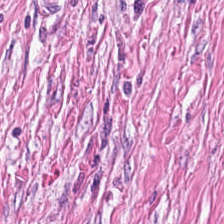This field is tumor-associated stroma.
